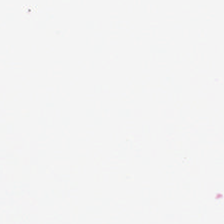H&E-stained tissue section.
Field content = background.
